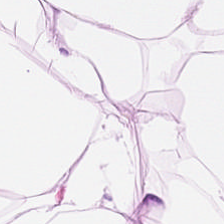Q: What is shown in this field?
A: This is adipose.
